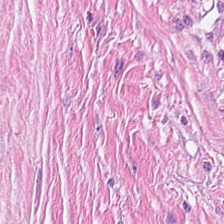Hematoxylin-and-eosin stained section · 224×224 px tile. This field is tumor stroma.
